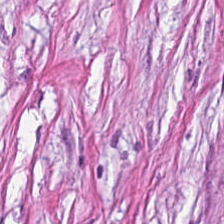H&E stain.
Q: What is shown here?
A: Cancer-associated stroma.
